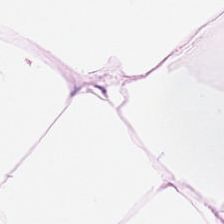224×224 px tile; H&E stain — Finding — adipocytes.
